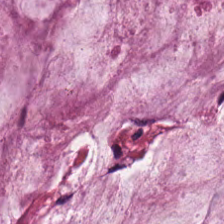Whole-slide-image patch; 224×224 px patch; H&E-stained tissue section. This field is mucin.
